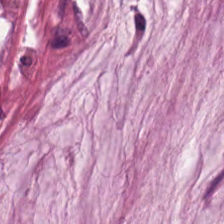H&E patch showing mucus.
